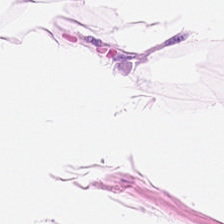WSI patch. H&E stain — The predominant tissue is adipocytes.
